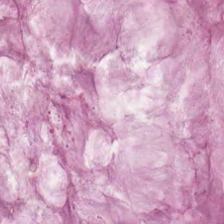Brightfield microscopy · H&E · FFPE tissue section.
The predominant tissue is extracellular mucin.
